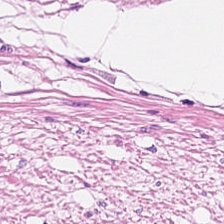0.5 µm/px; hematoxylin and eosin — Q: What tissue is shown?
A: The field shows muscularis.
